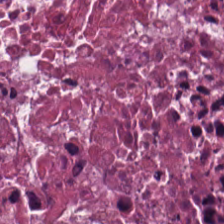H&E patch showing cellular debris.
